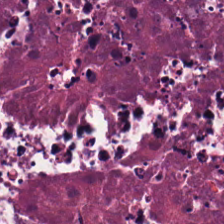Stain: hematoxylin-and-eosin stained section.
Resolution: 0.5 µm per pixel.
Predominant tissue: debris.
